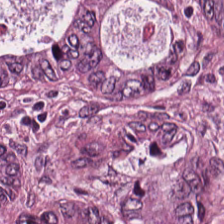H&E · 0.5 µm per pixel. Predominantly adenocarcinoma.
